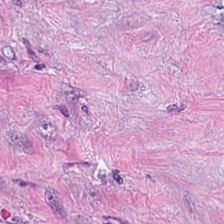Formalin-fixed paraffin-embedded section; hematoxylin-and-eosin stained section; brightfield — This field is tumor-associated stroma.
